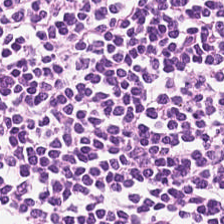0.5 µm/px. H&E-stained tissue section. The predominant tissue is lymphoid infiltrate.
